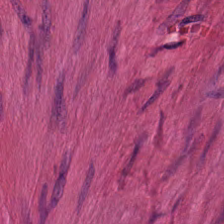H&E · FFPE tissue section.
Q: What does this patch show?
A: Smooth-muscle tissue.
